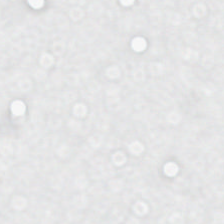Background — no tissue in this field.
